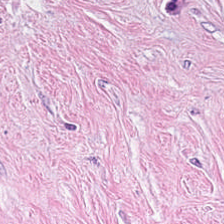Hematoxylin-and-eosin stained section.
Tissue class — cancer-associated stroma.
